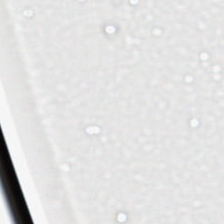Stain: hematoxylin and eosin.
Preparation: FFPE.
Content: no tissue.
